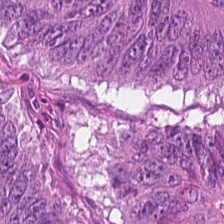Formalin-fixed paraffin-embedded section · 224×224 px patch · H&E stain. Showing colorectal adenocarcinoma.
